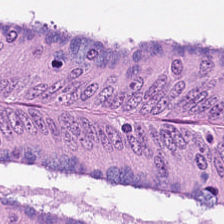H&E-stained tissue section — Tissue type — colorectal adenocarcinoma epithelium.
